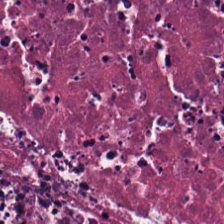Stain: hematoxylin-and-eosin stained section.
Tissue type: debris.
